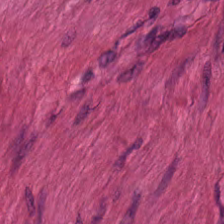0.5 µm per pixel · 224×224 pixel tile · H&E stain. The classification is smooth-muscle tissue.
